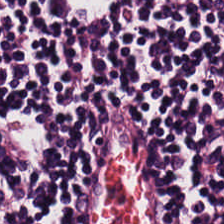Q: What tissue type is shown here?
A: It is lymphocytes.
